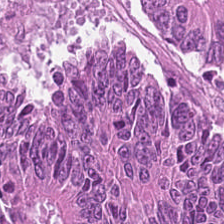224×224 px tile · hematoxylin-and-eosin stained section — The tissue type is colorectal adenocarcinoma epithelium.
